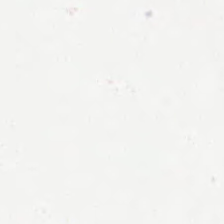224×224 px tile · hematoxylin-and-eosin stained section · formalin-fixed paraffin-embedded section — Field content — no tissue.
